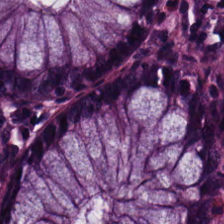Stain: hematoxylin-and-eosin stained section.
Acquisition: whole-slide-image patch.
Tile size: 224×224 px patch.
Predominant tissue: non-neoplastic colon mucosa.
